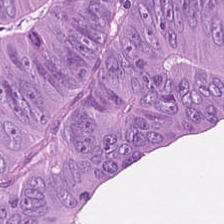Hematoxylin and eosin. Q: What is shown in this field?
A: It is tumor epithelium.
